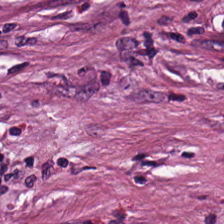Q: What type of tissue is this?
A: The field shows desmoplastic stroma.
